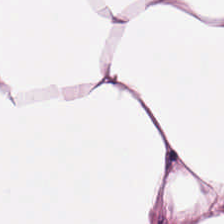Classification = adipocytes.
